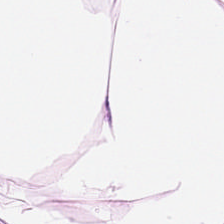Stain: hematoxylin-and-eosin stained section.
Tissue type: adipose tissue.
